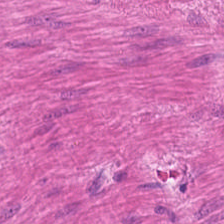H&E-stained tissue section. 224×224 px patch — The predominant tissue is muscularis.
